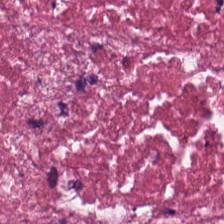FFPE tissue section; H&E-stained tissue section.
Tissue — debris.
